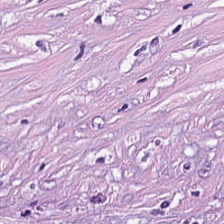H&E stain · formalin-fixed paraffin-embedded section.
Predominant tissue — tumor stroma.
